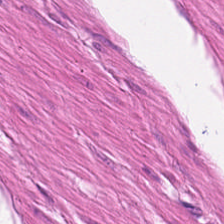Hematoxylin-and-eosin stained section — Classification = smooth-muscle tissue.
